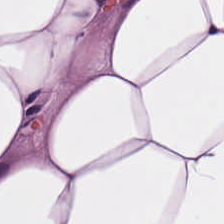H&E. Q: What is shown in this field?
A: The field shows adipocytes.
